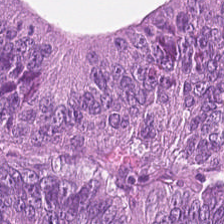Hematoxylin-and-eosin stained section; FFPE tissue section — Q: What does this patch show?
A: The field shows colorectal adenocarcinoma.
